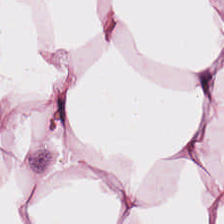Tissue class = fat tissue.
